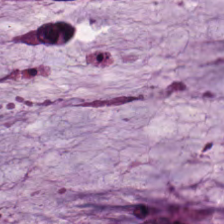H&E. Whole-slide-image patch — Predominant tissue = mucus.
